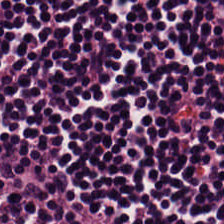Stain: hematoxylin-and-eosin stained section.
Classification: lymphocytes.
